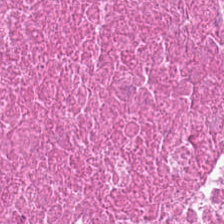Stain: hematoxylin and eosin.
Acquisition: WSI patch.
Resolution: 0.5 µm per pixel.
Tissue class: cellular debris.
